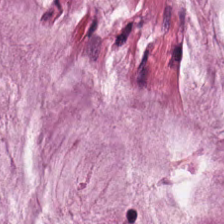Hematoxylin and eosin — This field is mucin.
